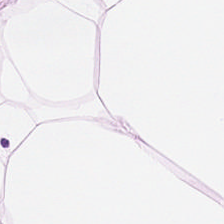H&E stain.
This field is fat tissue.
